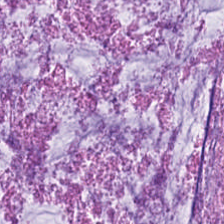H&E — Mucin.
